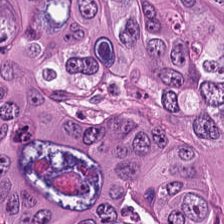Brightfield microscopy; 224×224 px patch; H&E. This patch shows adenocarcinoma.
